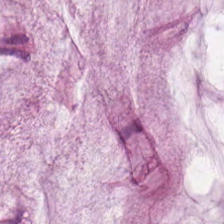Q: What tissue is shown?
A: This is mucin.
